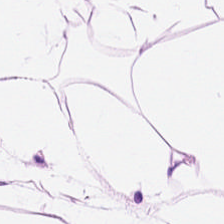H&E-stained tissue section; FFPE.
Tissue type — adipocytes.
